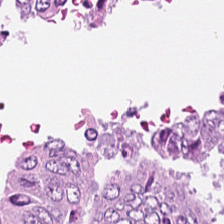H&E-stained tissue section. 0.5 microns per pixel.
Predominantly colorectal adenocarcinoma epithelium.
